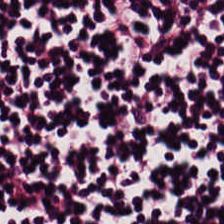Hematoxylin-and-eosin stained section. This patch shows lymphocyte aggregate.
